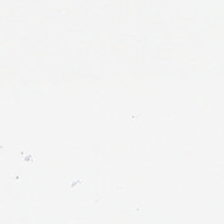Hematoxylin and eosin — {"content": "background (no tissue)"}
